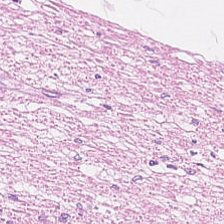224×224 pixel tile; H&E stain. This patch shows muscularis.
